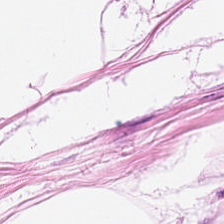H&E stain — The classification is adipose tissue.
